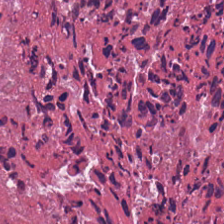Predominantly cellular debris.
